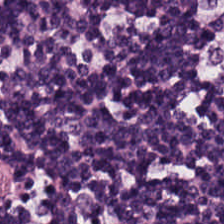H&E · 20× equivalent magnification — This field is lymphoid infiltrate.
